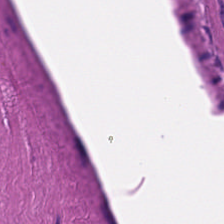Hematoxylin and eosin — {"tissue_type": "smooth muscle"}
